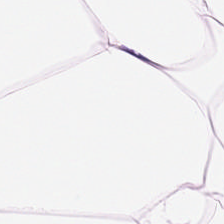Hematoxylin and eosin; 0.5 microns per pixel.
Predominant tissue — adipose tissue.
